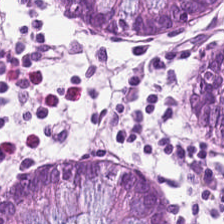Stain: hematoxylin and eosin.
Tissue: non-neoplastic colon mucosa.
